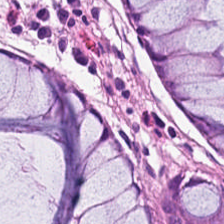Hematoxylin and eosin · 224×224 px tile. Q: What does this patch show?
A: It is normal colonic mucosa.
